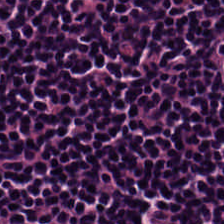H&E stain.
This patch shows lymphocytes.
